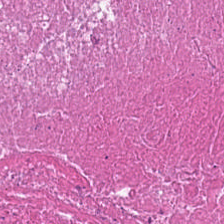H&E; 20× equivalent magnification — Q: What tissue is shown?
A: The field shows necrotic debris.
